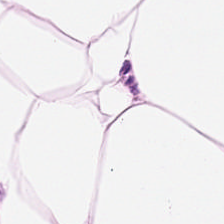Hematoxylin-and-eosin section: fat tissue.
